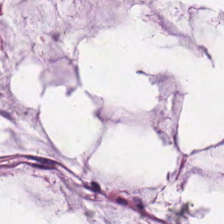0.5 microns per pixel · hematoxylin and eosin.
The classification is mucus.
